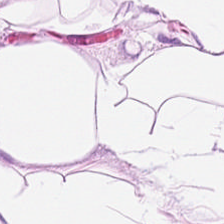224×224 px patch. H&E-stained tissue section.
Histology — fat tissue.
